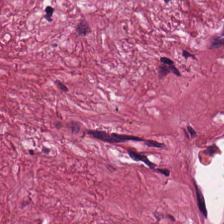H&E stain — Q: What is shown in this field?
A: Cancer-associated stroma.
